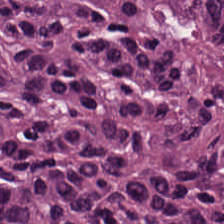Hematoxylin and eosin; brightfield.
Finding → malignant epithelium.
